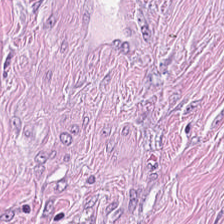Hematoxylin and eosin — Tissue class: cancer-associated stroma.
